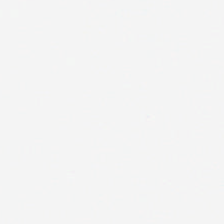Hematoxylin-and-eosin stained section.
Histology — empty background.
